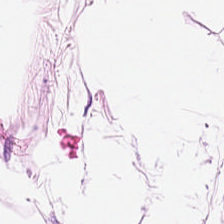The tissue type is fat tissue.
